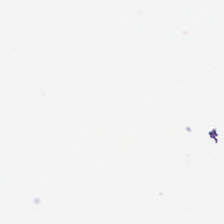Background — no tissue in this field.
